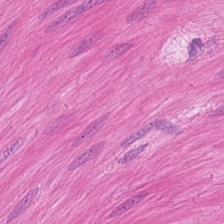H&E stain. This patch shows smooth muscle.
